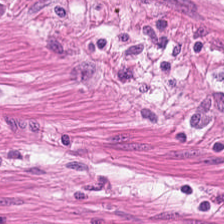Stain: hematoxylin-and-eosin stained section.
Classification: smooth muscle.
